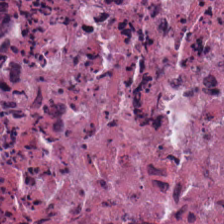Brightfield microscopy; H&E stain; 0.5 µm/px.
The predominant tissue is debris.
